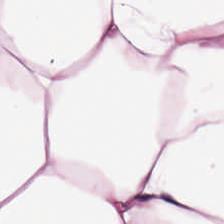H&E-stained tissue section — The predominant tissue is adipocytes.
